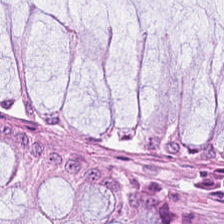Stain: H&E stain.
Tissue: benign colonic mucosa.
